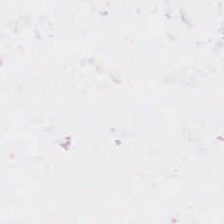Hematoxylin-and-eosin stained section. WSI patch. Formalin-fixed paraffin-embedded section. Q: What does this patch show?
A: This is background.
